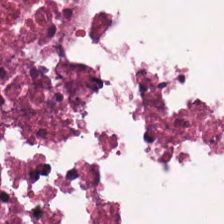Stain: H&E.
Tissue: necrotic debris.
